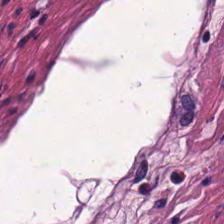Hematoxylin and eosin. The predominant tissue is smooth-muscle tissue.
